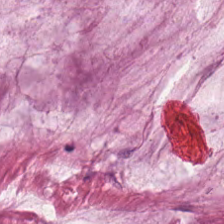FFPE. H&E stain.
Extracellular mucin.
